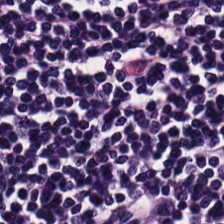H&E stain. Formalin-fixed paraffin-embedded section — Tissue = lymphocyte aggregate.
